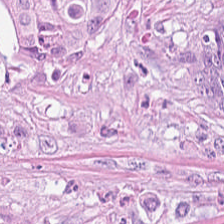Stain: H&E.
Tissue class: malignant epithelium.
